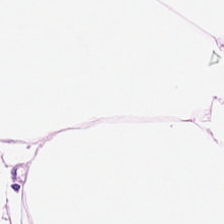Hematoxylin-and-eosin stained section — Classification: fat tissue.
